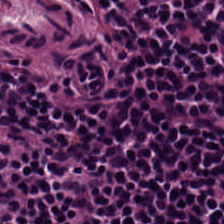Formalin-fixed paraffin-embedded section; 224×224 px tile; H&E stain — This field is lymphocytic infiltrate.
